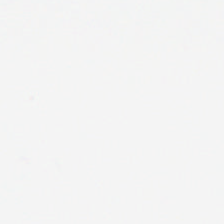H&E — The classification is background.
